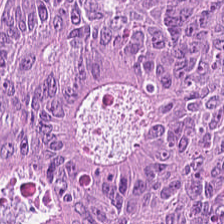224×224 pixel tile; hematoxylin-and-eosin stained section — Q: What tissue is shown?
A: This is malignant epithelium.
